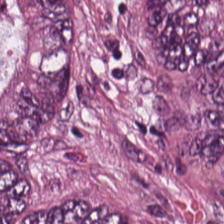H&E stain.
Q: What is the predominant tissue type?
A: The field shows adenocarcinoma.
